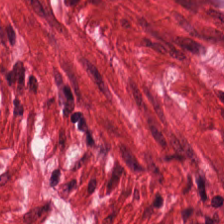Finding — smooth muscle.
